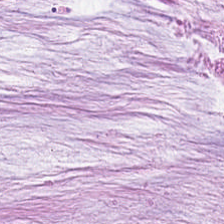Hematoxylin-and-eosin stained section. {"tissue_type": "mucus"}
